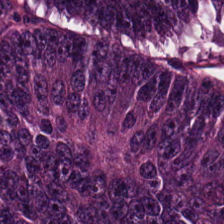H&E stain. 20× equivalent magnification.
Predominant tissue = colorectal adenocarcinoma.
